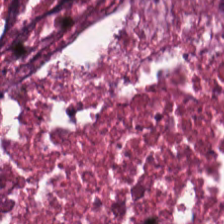H&E-stained tissue section showing cellular debris.
